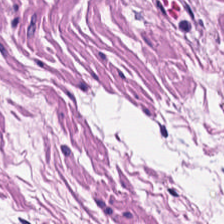Hematoxylin and eosin — Finding — smooth muscle.
